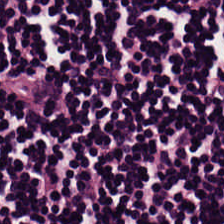0.5 µm per pixel · H&E stain — Impression — lymphocyte aggregate.
